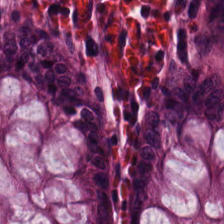Impression → normal colonic mucosa.
